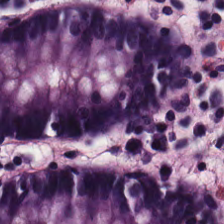Hematoxylin and eosin. Predominantly normal colon mucosa.
